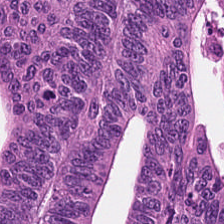H&E-stained tissue section · brightfield. Q: Identify the tissue.
A: Malignant epithelium.
